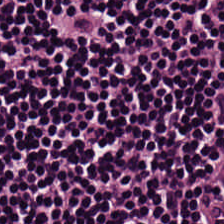Brightfield; FFPE; H&E-stained tissue section.
Q: What is shown in this field?
A: It is lymphoid infiltrate.
